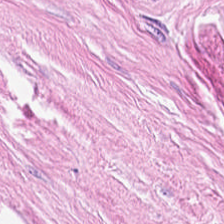Formalin-fixed paraffin-embedded section. H&E-stained tissue section. 224×224 px tile. Tissue type — cancer-associated stroma.
